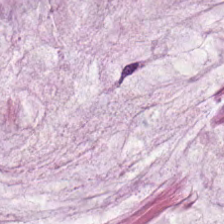Hematoxylin and eosin. The predominant tissue is mucus.
